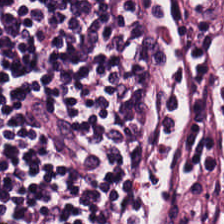H&E-stained tissue section. Showing lymphocyte aggregate.
